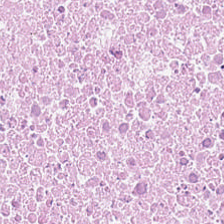FFPE tissue section; hematoxylin and eosin — Predominant tissue = cellular debris.
